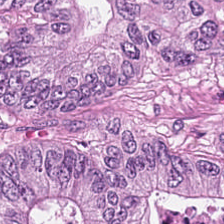Hematoxylin-and-eosin stained section; brightfield microscopy. Tissue type — colorectal adenocarcinoma epithelium.
